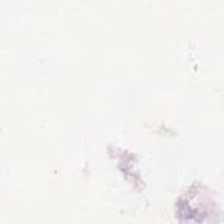H&E-stained tissue section. Content = background.
